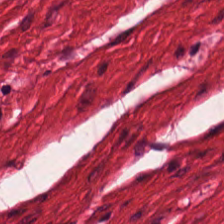The predominant tissue is muscularis.
